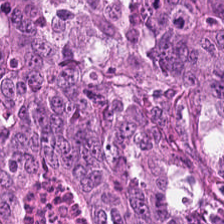Hematoxylin-and-eosin stained section; FFPE. Colorectal adenocarcinoma.
